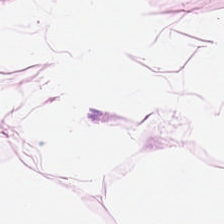Hematoxylin-and-eosin stained section — Histology — adipose tissue.
